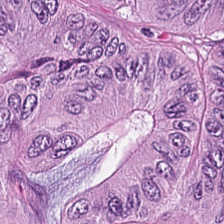0.5 µm per pixel; 224×224 px patch; hematoxylin-and-eosin stained section. The tissue here is tumor epithelium.
